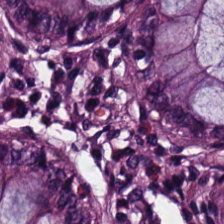Hematoxylin-and-eosin stained section; whole-slide-image patch; 224×224 px tile.
Q: What is the predominant tissue type?
A: This is normal colonic mucosa.
